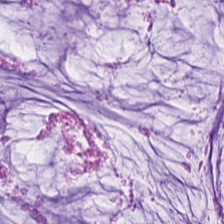H&E — mucin.
